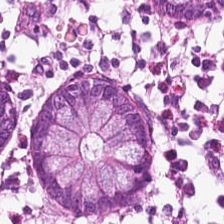H&E-stained tissue section · 224×224 px patch.
Q: What type of tissue is this?
A: The field shows normal colonic mucosa.
